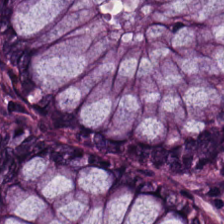Formalin-fixed paraffin-embedded section. Hematoxylin-and-eosin stained section — Tissue — normal colonic mucosa.
